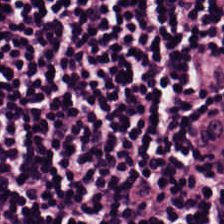FFPE. Hematoxylin and eosin.
Q: Classify this patch.
A: This is lymphocytic infiltrate.
